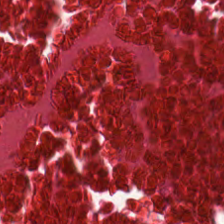Hematoxylin-and-eosin stained section.
Impression — necrotic debris.
